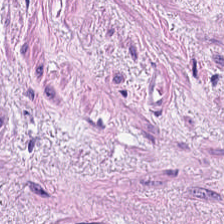Hematoxylin-and-eosin stained section.
Predominantly smooth muscle.
